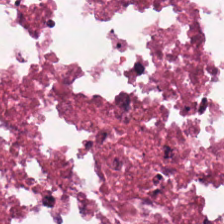H&E stain; 0.5 microns per pixel — The tissue here is debris.
